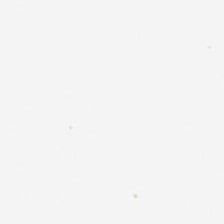No tissue present; background only.
